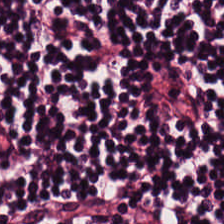H&E. Lymphoid infiltrate.
